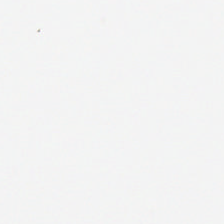H&E.
Classification: background (no tissue).
